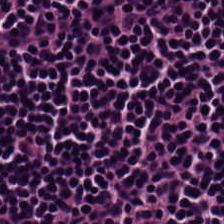H&E stain — Impression → lymphocytes.
